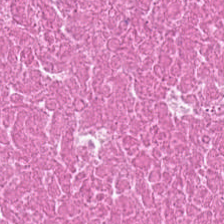Stain: H&E stain.
Tissue: debris.
